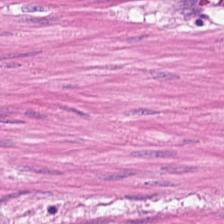H&E stain.
Finding — smooth-muscle tissue.
